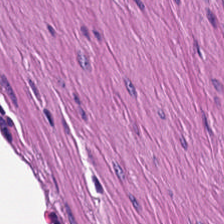Tissue class: smooth muscle.
